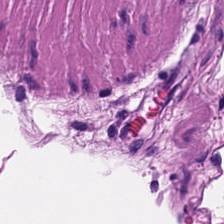H&E-stained tissue section. Tissue class: smooth-muscle tissue.
